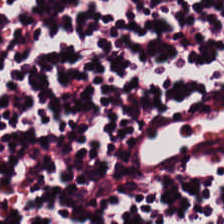H&E stain — The tissue here is lymphoid infiltrate.
